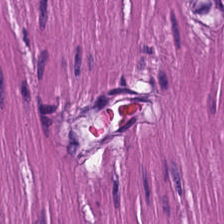Histology — smooth muscle.
